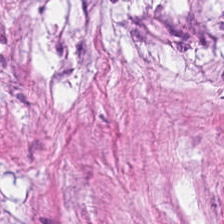Q: Identify the tissue.
A: It is tumor-associated stroma.
